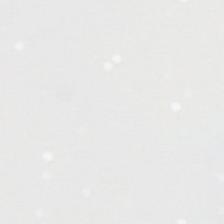Formalin-fixed paraffin-embedded section · H&E.
Empty field — background (no tissue).
